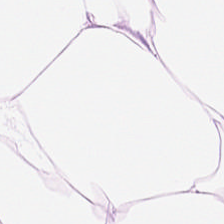Hematoxylin-and-eosin stained section; brightfield microscopy; formalin-fixed paraffin-embedded section.
Predominantly adipocytes.
